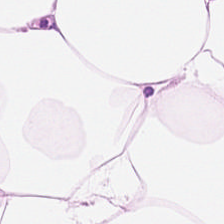This field is fat tissue.
